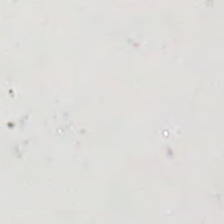Q: What does this patch show?
A: It is background (no tissue).
